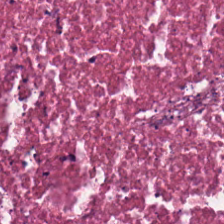Stain: hematoxylin-and-eosin stained section.
Tile size: 224×224 px tile.
Predominant tissue: necrotic debris.
